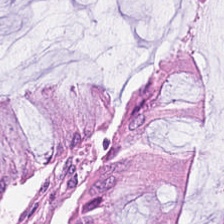Tissue class = normal colon mucosa.
